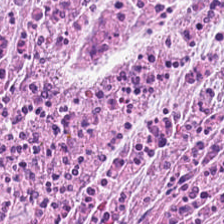224×224 px tile · H&E · 0.5 µm per pixel.
Classification = tumor-associated stroma.
